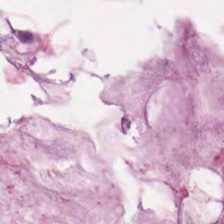H&E stain. 20× equivalent magnification.
Showing mucin.
